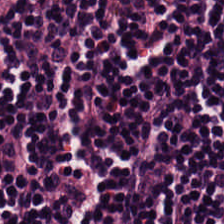Brightfield. H&E — This patch shows lymphocytic infiltrate.
